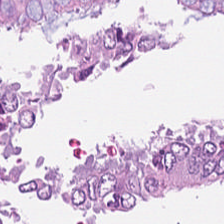H&E. This patch shows colorectal adenocarcinoma.
